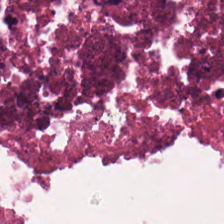The classification is necrotic debris.
